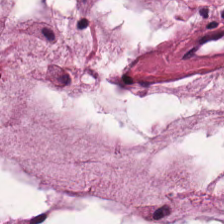224×224 px tile; hematoxylin-and-eosin stained section; brightfield — Predominantly extracellular mucin.
